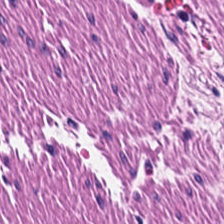H&E stain · 0.5 microns per pixel. Showing muscularis.
